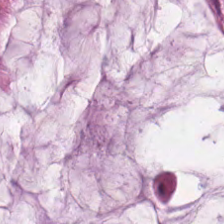H&E stain.
This patch shows mucus.
